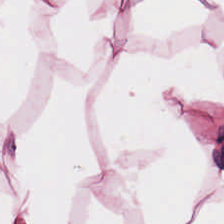Tissue = adipose.
